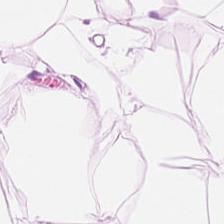Hematoxylin and eosin — The tissue is adipocytes.
